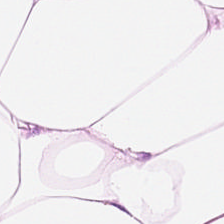H&E stain. 20× equivalent magnification. This patch shows fat tissue.
